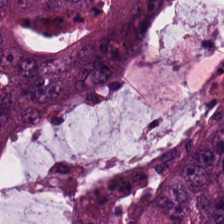Classification — tumor epithelium.
